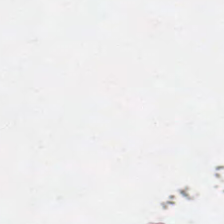Hematoxylin and eosin — The content is empty background.
